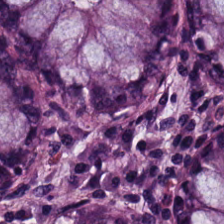Stain: hematoxylin and eosin.
Predominant tissue: normal colon mucosa.
